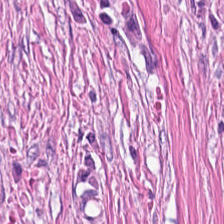Formalin-fixed paraffin-embedded section · hematoxylin and eosin.
The predominant tissue is tumor-associated stroma.
